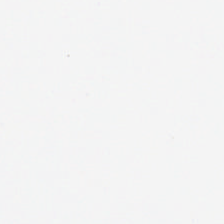Hematoxylin and eosin. FFPE tissue section.
No tissue present; background only.
